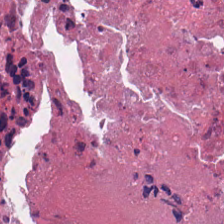H&E stain. Q: Identify the tissue.
A: Necrotic debris.
